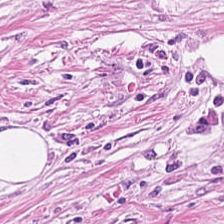Stain: H&E.
Tissue type: cancer-associated stroma.
